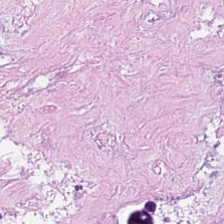Cellular debris.
